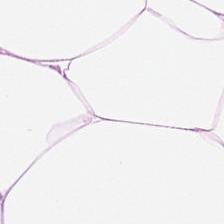H&E stain. 224×224 px patch. Predominant tissue = adipose tissue.
